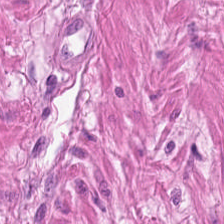H&E stain; brightfield — Tissue: smooth-muscle tissue.
